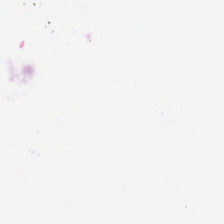H&E stain — Q: What does this patch show?
A: This is no tissue.
